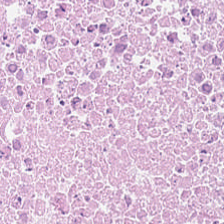Hematoxylin and eosin.
Predominant tissue = debris.
